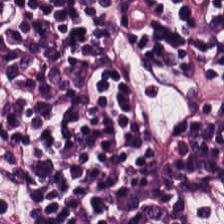H&E patch showing lymphocyte aggregate.
